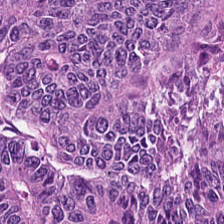H&E stain. FFPE tissue section — {"tissue_type": "colorectal adenocarcinoma"}
